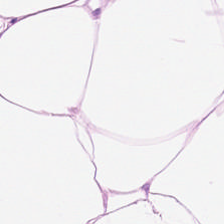224×224 px tile · H&E stain · 0.5 µm per pixel. Q: What is shown here?
A: This is adipose.
